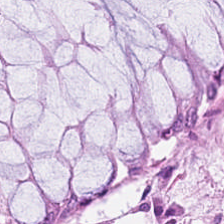Hematoxylin and eosin — Finding → normal colonic mucosa.
